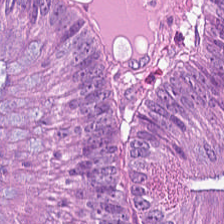224×224 pixel tile. Brightfield microscopy. Hematoxylin-and-eosin stained section.
Predominant tissue = adenocarcinoma.
